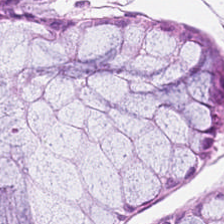Hematoxylin and eosin — Tissue: non-neoplastic colon mucosa.
